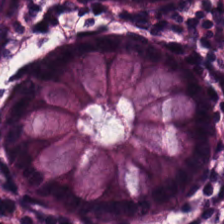Stain: H&E-stained tissue section.
Preparation: FFPE.
Resolution: 20× equivalent magnification.
Tissue class: normal colonic mucosa.
